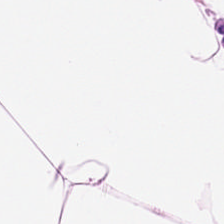The tissue here is adipose.
